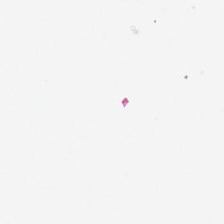Stain: hematoxylin and eosin.
Acquisition: WSI patch.
Preparation: FFPE.
Classification: empty background.
